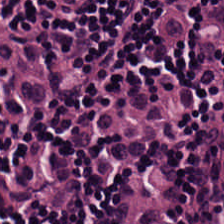H&E-stained tissue section — Tissue: lymphoid infiltrate.
